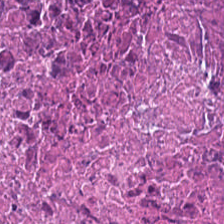Hematoxylin-and-eosin stained section. 0.5 µm per pixel.
Tissue type — necrotic debris.
